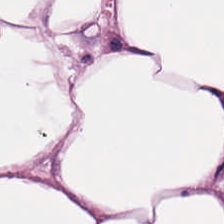Showing adipocytes.
